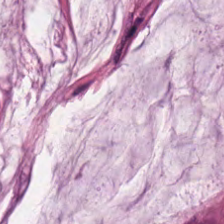Stain: hematoxylin and eosin.
Classification: mucin.
